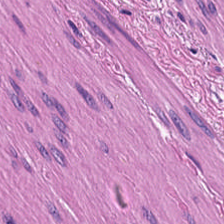H&E — Finding → muscularis.
